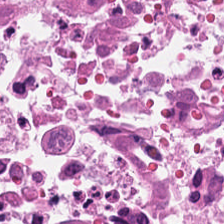Q: What is the predominant tissue type?
A: The field shows necrotic debris.
